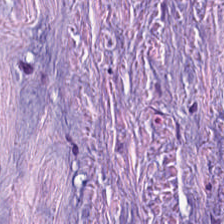H&E-stained section; the field shows desmoplastic stroma.
